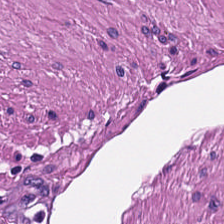H&E stain; brightfield microscopy — Classification — smooth-muscle tissue.
